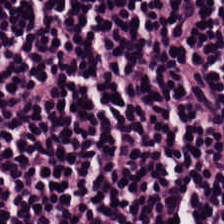Hematoxylin-and-eosin stained section · 0.5 µm per pixel · FFPE tissue section.
The predominant tissue is lymphoid infiltrate.
